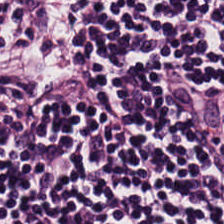FFPE tissue section. H&E stain. 0.5 µm/px. Q: What is shown in this field?
A: This is lymphocytes.
